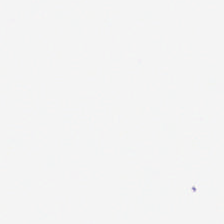H&E stain.
{"content": "background (no tissue)"}
